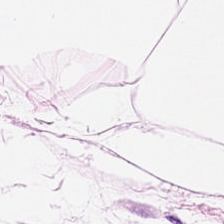Hematoxylin-and-eosin stained section.
Impression → fat tissue.
